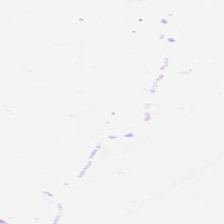224×224 px patch · hematoxylin-and-eosin stained section · formalin-fixed paraffin-embedded section.
This patch shows no tissue.
